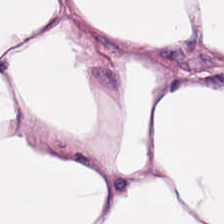Brightfield. H&E-stained tissue section — Predominantly adipose tissue.
